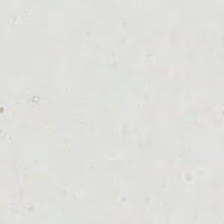Stain: hematoxylin-and-eosin stained section.
Classification: background (no tissue).
